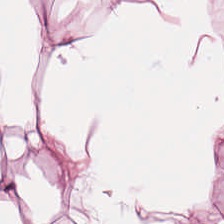Hematoxylin and eosin. Formalin-fixed paraffin-embedded section. This patch shows adipose tissue.
